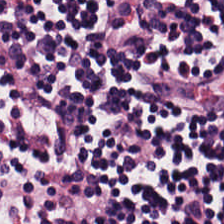Hematoxylin and eosin.
Lymphoid infiltrate.
